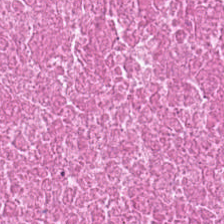{"tissue_type": "necrotic debris"}
